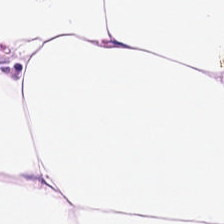Hematoxylin and eosin. {"tissue_type": "adipocytes"}
